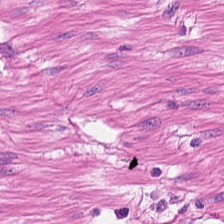Hematoxylin and eosin.
Showing smooth-muscle tissue.
